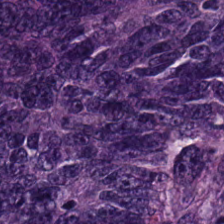Finding — malignant epithelium.
